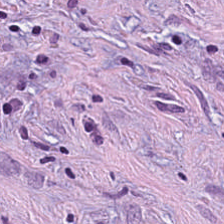Stain: H&E-stained tissue section.
Acquisition: WSI patch.
Tissue: desmoplastic stroma.
